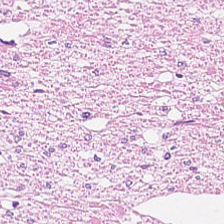Stain: hematoxylin and eosin.
Tile size: 224×224 px patch.
Classification: muscularis.
